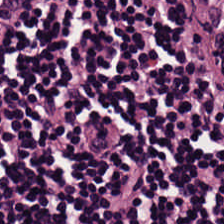Q: Identify the tissue.
A: This is lymphocytic infiltrate.
